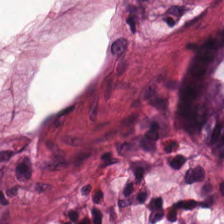This patch shows normal colonic mucosa.
